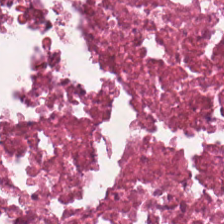H&E-stained tissue section showing necrotic debris.
